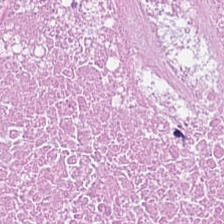H&E-stained tissue section · 20× equivalent magnification. {"tissue_type": "debris"}
